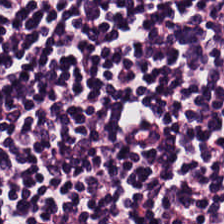Finding → lymphocytes.
